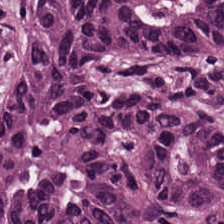H&E stain. Predominantly colorectal adenocarcinoma epithelium.
